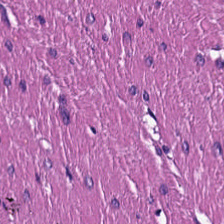Hematoxylin and eosin. Q: Classify this patch.
A: Muscularis.
